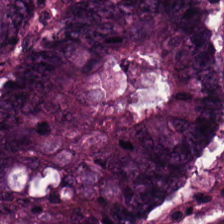Hematoxylin and eosin — Q: What is the predominant tissue type?
A: It is tumor epithelium.
